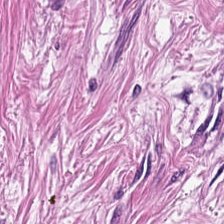H&E patch showing tumor stroma.
